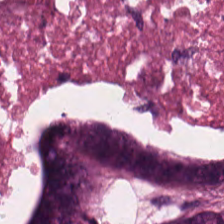Debris.
